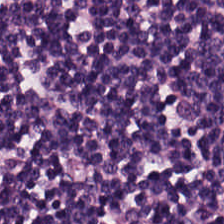Lymphoid infiltrate.
